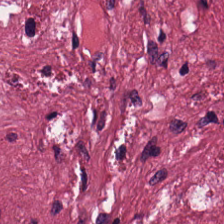Hematoxylin-and-eosin stained section.
Classification = tumor-associated stroma.
